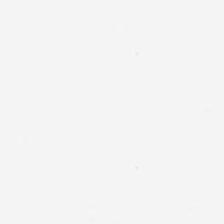H&E.
Q: What is shown in this field?
A: This is empty background.
